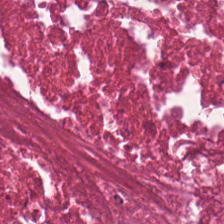Impression — cellular debris.
